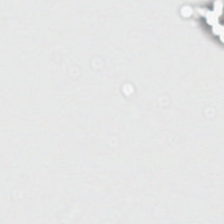H&E.
Field content = background (no tissue).
